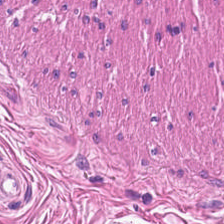H&E stain.
Impression — smooth-muscle tissue.
